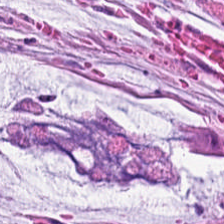Stain: H&E.
Predominant tissue: extracellular mucin.
